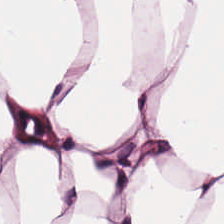Hematoxylin-and-eosin stained section. 224×224 px patch.
Q: What tissue type is shown here?
A: It is fat tissue.
